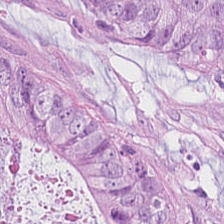Stain: H&E-stained tissue section.
Tissue: tumor epithelium.
